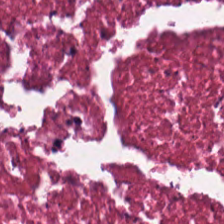Hematoxylin and eosin · FFPE tissue section.
Tissue class = debris.
